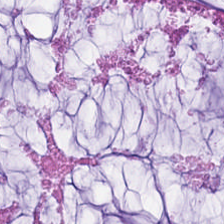H&E stain. WSI patch. 0.5 microns per pixel.
Q: Identify the tissue.
A: It is extracellular mucin.
